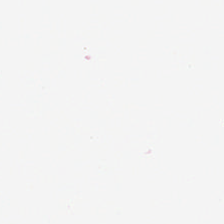No tissue present; background only.
